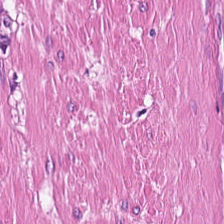H&E — The tissue is smooth muscle.
